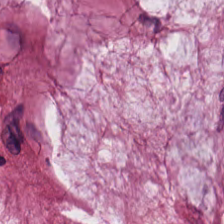Stain: hematoxylin and eosin.
Resolution: 20× equivalent magnification.
Tile size: 224×224 px patch.
Classification: mucus.
